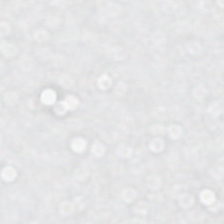20× equivalent magnification · hematoxylin-and-eosin stained section · 224×224 px tile.
Field content = background.
